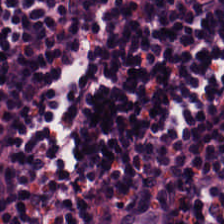H&E stain — Q: What is shown in this field?
A: The field shows lymphoid infiltrate.
